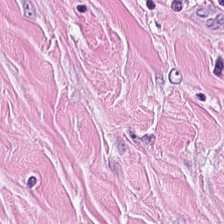The tissue here is tumor-associated stroma.
